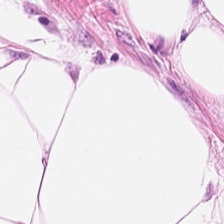Brightfield microscopy · FFPE · H&E-stained tissue section — Q: What does this patch show?
A: It is fat tissue.
